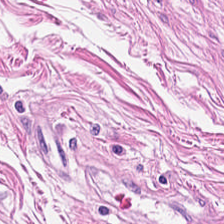224×224 pixel tile · H&E stain. Predominantly muscularis.
